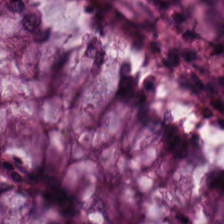H&E stain. This patch shows benign colonic mucosa.
